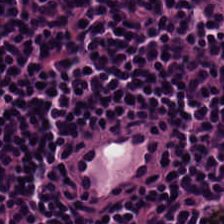FFPE · 224×224 px patch · H&E-stained tissue section. Q: Classify this patch.
A: Lymphocytes.
